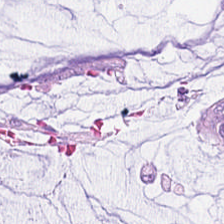Stain: hematoxylin-and-eosin stained section.
Tile size: 224×224 px tile.
Resolution: 20× equivalent magnification.
Classification: mucus.
